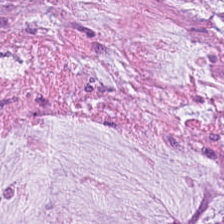Q: What tissue type is shown here?
A: Extracellular mucin.
